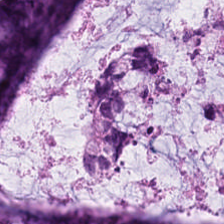Stain: H&E-stained tissue section.
Predominant tissue: mucin.
